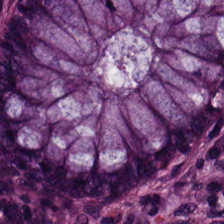Finding → benign colonic mucosa.
